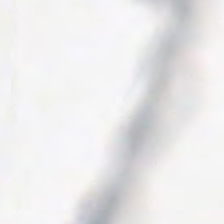Hematoxylin and eosin — Background.
